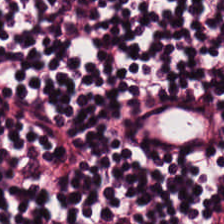Stain: H&E.
Tile size: 224×224 px tile.
Predominant tissue: lymphocytic infiltrate.
